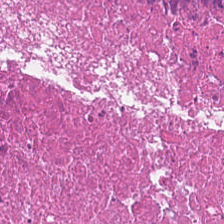Stain: H&E.
Tile size: 224×224 px patch.
Acquisition: whole-slide-image patch.
Tissue class: debris.
